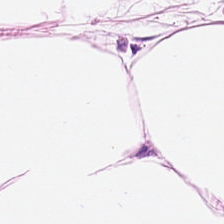Hematoxylin-and-eosin stained section — This patch shows adipocytes.
